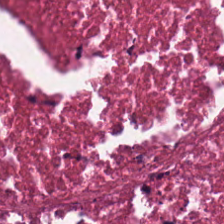Hematoxylin-and-eosin stained section — Finding — necrotic debris.
